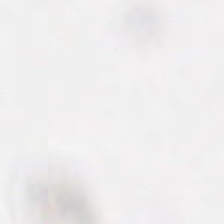Content — no tissue.
